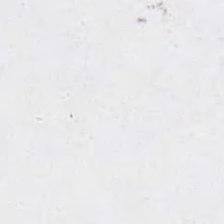Stain: H&E stain.
Tile size: 224×224 px patch.
Content: background (no tissue).
